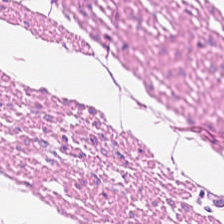H&E-stained tissue section.
{"tissue_type": "smooth muscle"}
